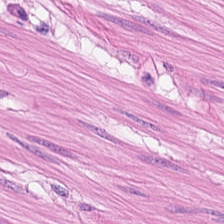224×224 px patch · H&E-stained tissue section.
Smooth-muscle tissue.
